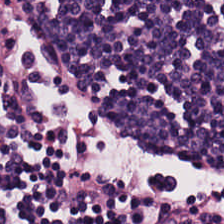H&E-stained tissue section; 224×224 px tile; FFPE. This field is lymphocytes.
